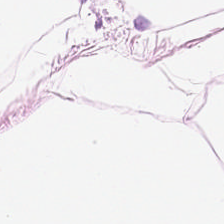Formalin-fixed paraffin-embedded section; hematoxylin and eosin — Histology → adipose tissue.
